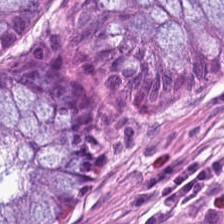Tissue = normal colonic mucosa.
